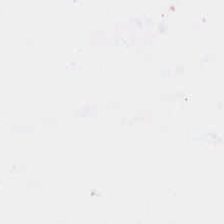H&E.
This field is background (no tissue).
